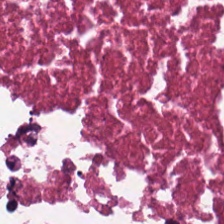Stain: hematoxylin-and-eosin stained section.
Tissue class: debris.
